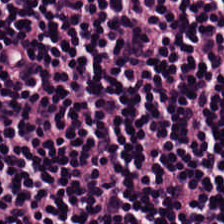Hematoxylin-and-eosin stained section. Q: What tissue is shown?
A: Lymphoid infiltrate.
